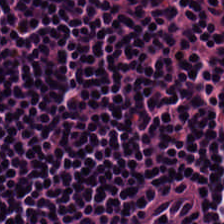Hematoxylin and eosin. 0.5 µm per pixel. 224×224 px tile — This patch shows lymphocyte aggregate.
